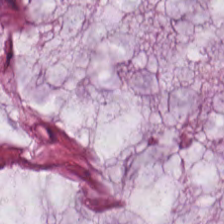Impression — mucus.
